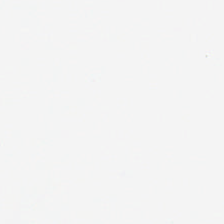H&E. Background.
